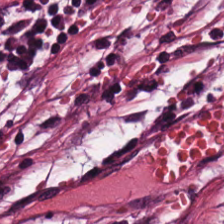20× equivalent magnification. Hematoxylin-and-eosin stained section. Whole-slide-image patch — Tissue type: tumor stroma.
